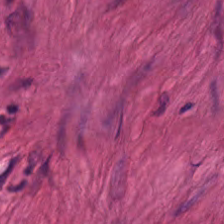H&E-stained tissue section; 224×224 px tile — Tissue class: smooth-muscle tissue.
